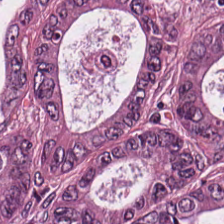The tissue here is colorectal adenocarcinoma.
